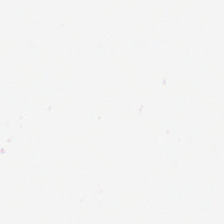0.5 microns per pixel · H&E · WSI patch. No tissue present; background only.
